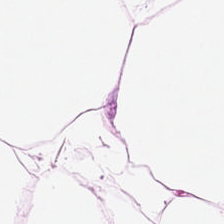H&E stain. Showing adipose tissue.
